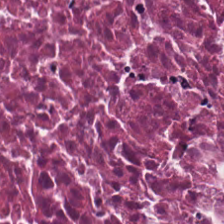Hematoxylin-and-eosin stained section · 224×224 pixel tile. Classification: cellular debris.
